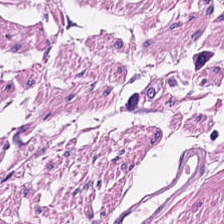H&E — Tissue class — smooth muscle.
